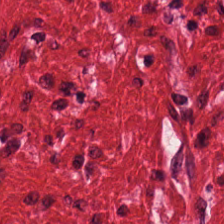Predominant tissue = muscularis.
